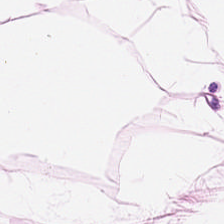Hematoxylin and eosin; FFPE tissue section. Predominant tissue — adipose tissue.
